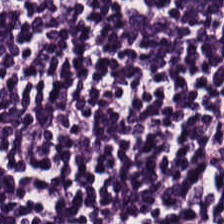H&E-stained tissue section. The tissue class is lymphocyte aggregate.
